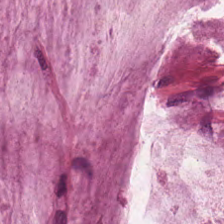H&E-stained tissue section. 224×224 px tile.
The classification is mucus.
